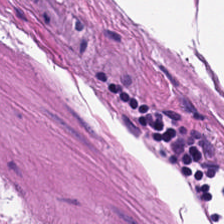Q: What tissue is shown?
A: It is smooth muscle.
